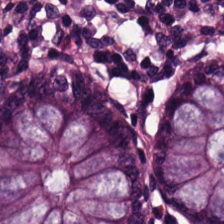Tissue type — normal colonic mucosa.
